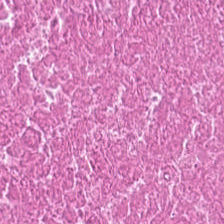Hematoxylin and eosin — Tissue class — cellular debris.
